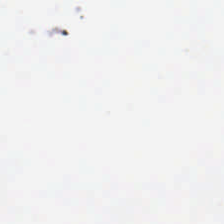0.5 microns per pixel. H&E stain — Empty background.
